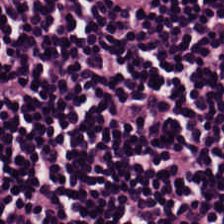Formalin-fixed paraffin-embedded section · whole-slide-image patch · H&E — {"tissue_type": "lymphocyte aggregate"}
